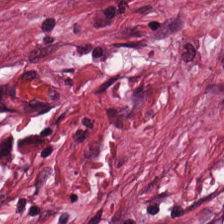0.5 microns per pixel. H&E stain. Brightfield — Tissue type = desmoplastic stroma.
